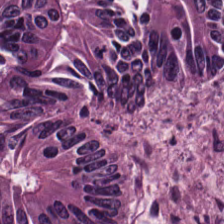FFPE. H&E-stained tissue section. 224×224 px patch.
Malignant epithelium.
